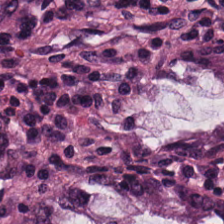Hematoxylin and eosin. Predominant tissue = normal colon mucosa.
